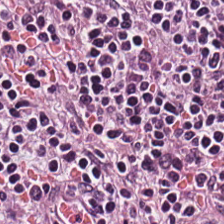Q: What does this patch show?
A: This is lymphocytes.
